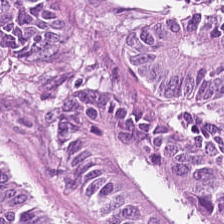Impression → colorectal adenocarcinoma epithelium.
